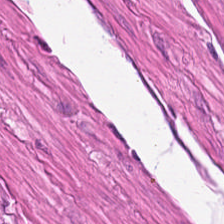Tissue class = muscularis.
